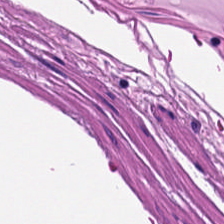Stain: H&E-stained tissue section.
Preparation: formalin-fixed paraffin-embedded section.
Resolution: 20× equivalent magnification.
Tissue type: muscularis.
